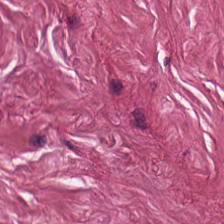H&E. 20× equivalent magnification — Q: What is shown in this field?
A: The field shows desmoplastic stroma.
